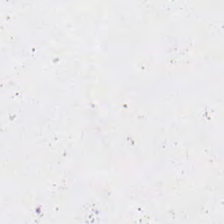This field is background (no tissue).
